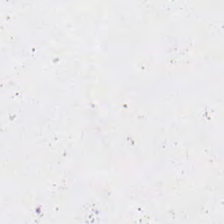This field is background (no tissue).
